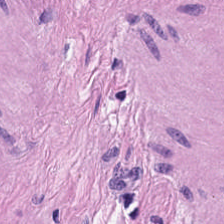H&E stain.
Smooth muscle.
